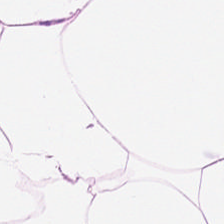Hematoxylin-and-eosin stained section. Histology → adipocytes.
